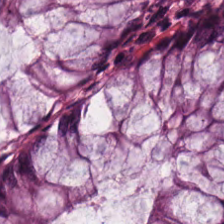H&E-stained tissue section. The tissue here is normal colon mucosa.
